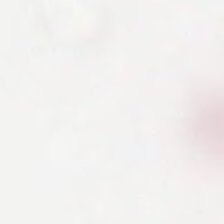H&E stain. Q: What does this patch show?
A: This is empty background.
